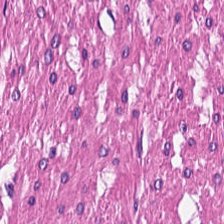H&E stain.
The predominant tissue is muscularis.
